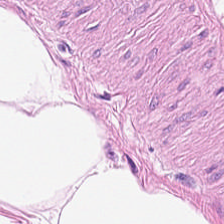Stain: H&E-stained tissue section.
Tissue: adipocytes.
